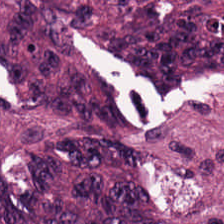Stain: H&E.
Preparation: FFPE.
Resolution: 20× equivalent magnification.
Tissue class: tumor epithelium.
